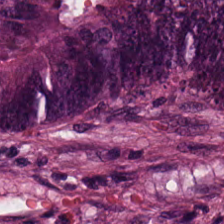H&E — This patch shows colorectal adenocarcinoma.
